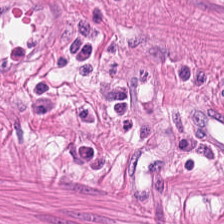H&E. Tissue — muscularis.
